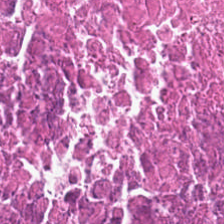Stain: hematoxylin and eosin.
Resolution: 0.5 µm/px.
Tile size: 224×224 px patch.
Predominant tissue: cellular debris.
